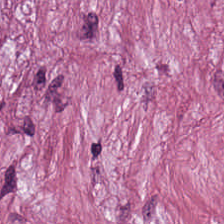Tumor stroma.
